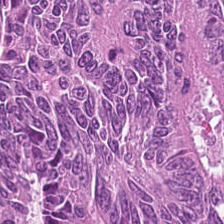Q: What is shown here?
A: It is colorectal adenocarcinoma.
